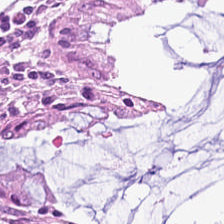Hematoxylin-and-eosin stained section. The predominant tissue is non-neoplastic colon mucosa.
